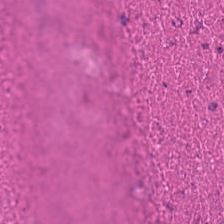Hematoxylin and eosin — Tissue = debris.
